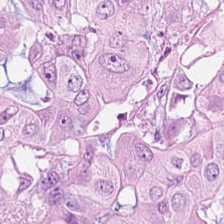Showing colorectal adenocarcinoma epithelium.
